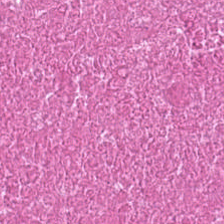The tissue is debris.
